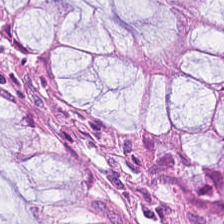H&E stain — Classification: normal colon mucosa.
